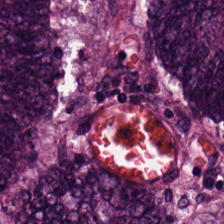H&E — Classification = tumor epithelium.
